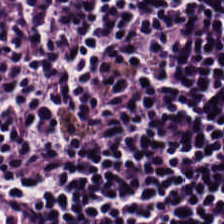H&E-stained tissue section; FFPE tissue section; 0.5 µm/px. This field is lymphocytes.
